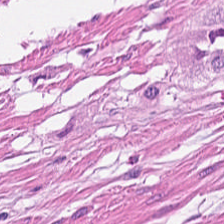H&E-stained tissue section. Q: What is shown here?
A: It is muscularis.
